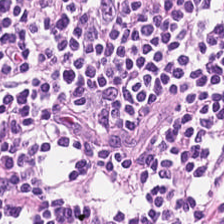H&E stain. 224×224 pixel tile. The predominant tissue is lymphocyte aggregate.
